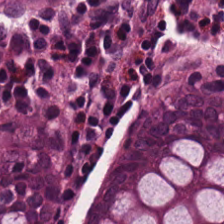H&E. Q: What tissue is shown?
A: This is non-neoplastic colon mucosa.
